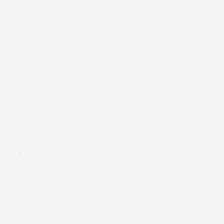0.5 microns per pixel · H&E-stained tissue section · 224×224 px tile. Background — no tissue in this field.
